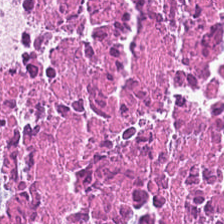Q: What type of tissue is this?
A: The field shows debris.
